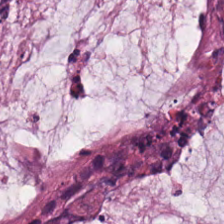H&E.
The tissue here is mucin.
